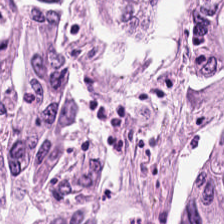0.5 microns per pixel. Hematoxylin-and-eosin stained section — Predominant tissue — malignant epithelium.
